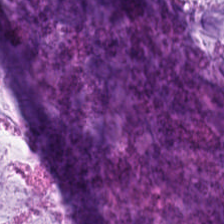Hematoxylin-and-eosin stained section. Q: What tissue is shown?
A: This is extracellular mucin.
